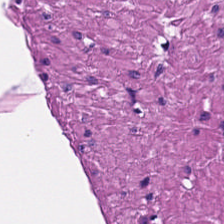Tissue — smooth muscle.
